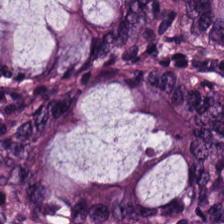0.5 µm/px. Hematoxylin-and-eosin stained section. {"tissue_type": "normal colonic mucosa"}
